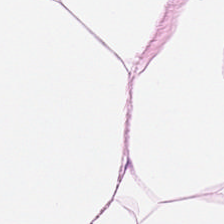The predominant tissue is adipocytes.
